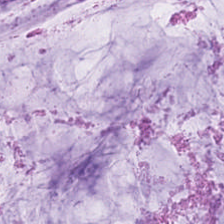FFPE tissue section; hematoxylin and eosin; whole-slide-image patch — Showing extracellular mucin.
